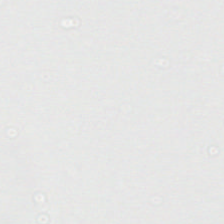Hematoxylin and eosin.
This patch shows empty background.
